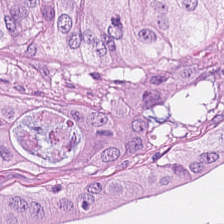0.5 µm per pixel; H&E; formalin-fixed paraffin-embedded section — {"tissue_type": "adenocarcinoma"}
